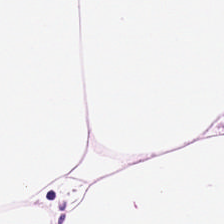0.5 µm per pixel · H&E-stained tissue section.
Q: What tissue is shown?
A: Adipose.
